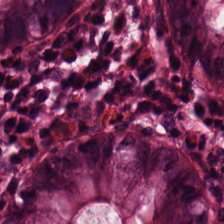Impression → non-neoplastic colon mucosa.
